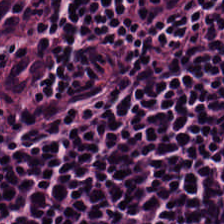Hematoxylin and eosin.
Showing lymphocytic infiltrate.
